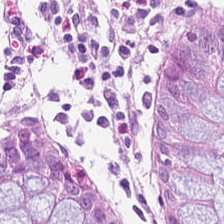H&E; 224×224 pixel tile; whole-slide-image patch.
Finding — normal colonic mucosa.
